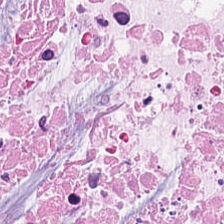Hematoxylin-and-eosin stained section. Finding → cellular debris.
